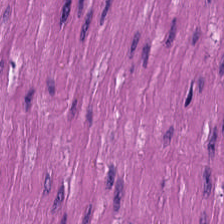Hematoxylin-and-eosin stained section.
Impression → muscularis.
